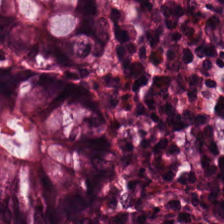H&E-stained tissue section. 224×224 px tile. Whole-slide-image patch — The tissue here is non-neoplastic colon mucosa.
